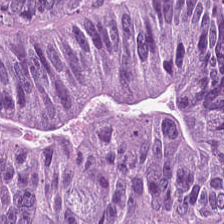H&E.
The predominant tissue is adenocarcinoma.
